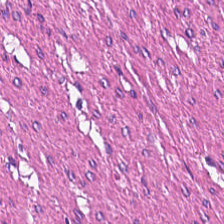0.5 µm/px; H&E — The classification is muscularis.
